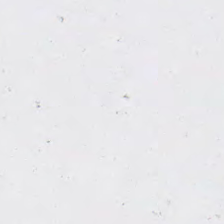Hematoxylin-and-eosin stained section — Histology → empty background.
